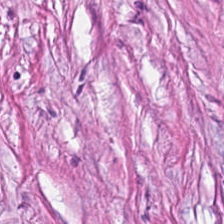Stain: hematoxylin and eosin.
Resolution: 0.5 microns per pixel.
Tissue class: tumor-associated stroma.
